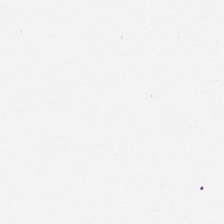Hematoxylin-and-eosin stained section — No tissue present; background only.
